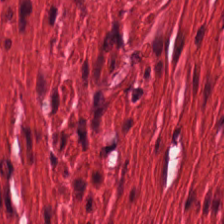{"tissue_type": "smooth-muscle tissue"}
